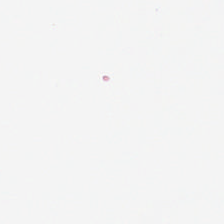Hematoxylin and eosin — This field is background (no tissue).
